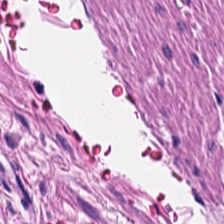FFPE. Hematoxylin and eosin. Q: What is shown here?
A: This is smooth-muscle tissue.
